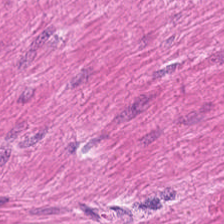Hematoxylin and eosin. Showing smooth-muscle tissue.
